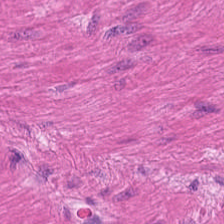Formalin-fixed paraffin-embedded section · hematoxylin and eosin — Smooth muscle.
